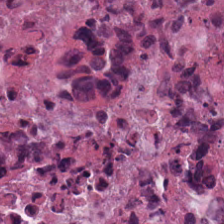0.5 µm per pixel. Brightfield. Hematoxylin-and-eosin stained section — Tissue = debris.
